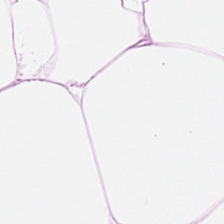H&E — The tissue is adipose tissue.
